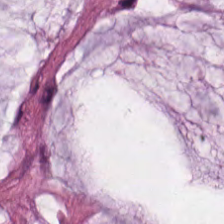H&E-stained tissue section. FFPE tissue section.
Tissue type: extracellular mucin.
